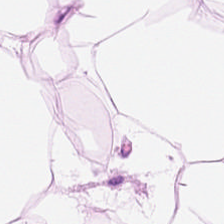224×224 px tile · 0.5 µm per pixel · hematoxylin-and-eosin stained section. Showing adipose tissue.
